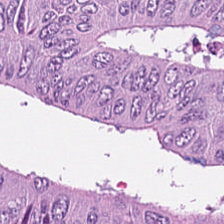H&E. The tissue here is colorectal adenocarcinoma.
